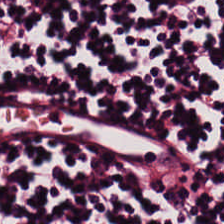Hematoxylin and eosin.
Predominantly lymphocytes.
